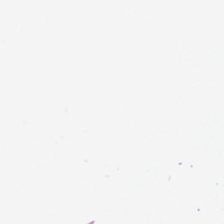Hematoxylin and eosin — Content = no tissue.
